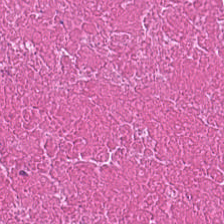H&E — debris.
